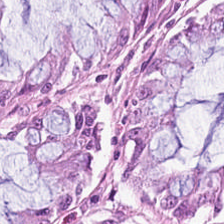H&E stain.
The predominant tissue is normal colonic mucosa.
